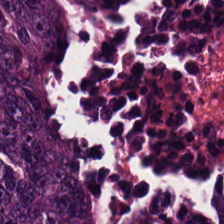Tissue class = colorectal adenocarcinoma epithelium.
